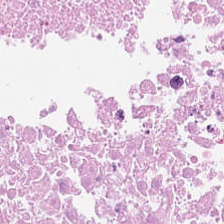Stain: hematoxylin and eosin.
Preparation: FFPE tissue section.
Tissue type: necrotic debris.
